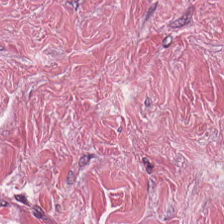Hematoxylin-and-eosin stained section; WSI patch — The tissue here is cancer-associated stroma.
